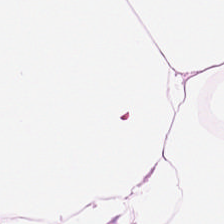Showing adipocytes.
